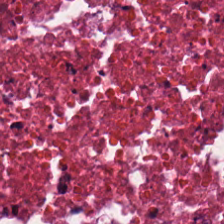20× equivalent magnification · 224×224 px tile · hematoxylin-and-eosin stained section.
The tissue here is debris.
